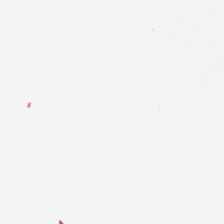H&E-stained tissue section.
No tissue present; background only.
